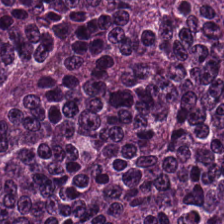Q: What tissue type is shown here?
A: This is colorectal adenocarcinoma.
